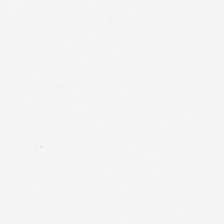224×224 px patch. Whole-slide-image patch. H&E — This field is background (no tissue).
